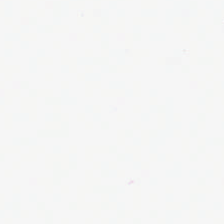Brightfield; hematoxylin and eosin. Empty field — no tissue.
